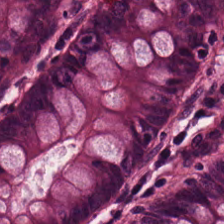H&E-stained tissue section — Finding → non-neoplastic colon mucosa.
